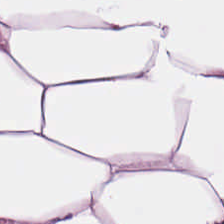Hematoxylin and eosin.
Q: What tissue type is shown here?
A: Fat tissue.
